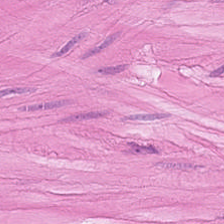H&E. Q: What tissue type is shown here?
A: This is muscularis.
